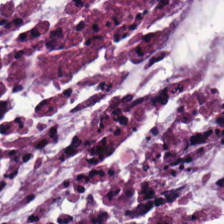224×224 px tile · H&E-stained tissue section.
Showing extracellular mucin.
